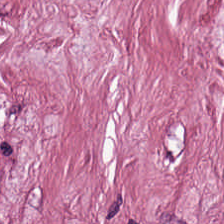Stain: hematoxylin-and-eosin stained section.
Tissue class: tumor stroma.
